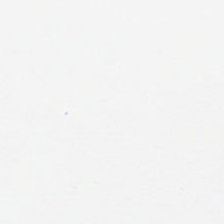Hematoxylin and eosin. The field content is no tissue.
